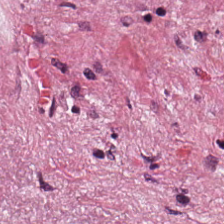Hematoxylin-and-eosin stained section — The tissue here is cancer-associated stroma.
